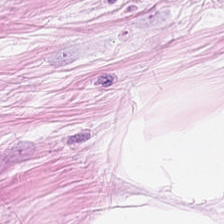This patch shows fat tissue.
